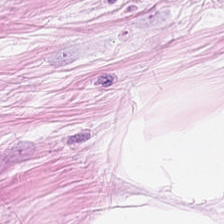This patch shows fat tissue.
